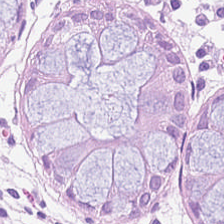Hematoxylin-and-eosin stained section.
Q: What tissue type is shown here?
A: Normal colonic mucosa.
